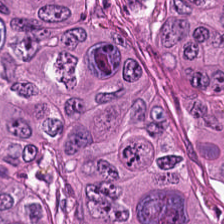Hematoxylin-and-eosin stained section — Q: What does this patch show?
A: Adenocarcinoma.
